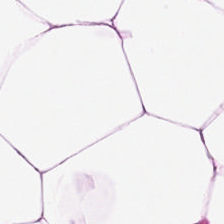Stain: hematoxylin and eosin.
Acquisition: brightfield.
Tissue type: adipose tissue.
